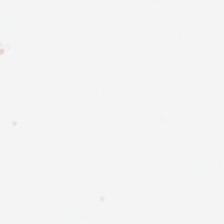0.5 µm/px; H&E-stained tissue section; FFPE tissue section. Q: What does this patch show?
A: It is empty background.
